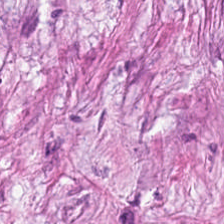Brightfield. 0.5 microns per pixel. H&E stain.
Tissue class = tumor-associated stroma.
